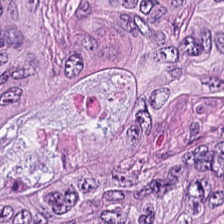Stain: hematoxylin-and-eosin stained section.
Tile size: 224×224 px patch.
Predominant tissue: colorectal adenocarcinoma.
